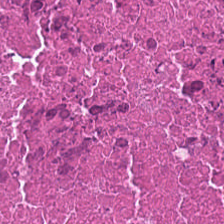Hematoxylin-and-eosin stained section.
Tissue type — necrotic debris.
